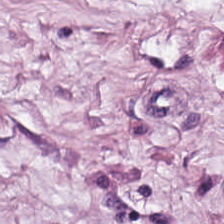Stain: H&E-stained tissue section.
Tissue class: adipocytes.
